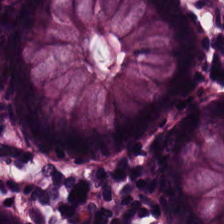H&E stain.
Q: Classify this patch.
A: It is non-neoplastic colon mucosa.
